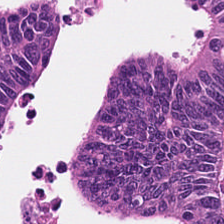H&E — Tissue: colorectal adenocarcinoma.
